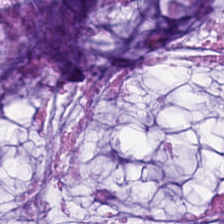Hematoxylin and eosin; brightfield; 0.5 µm per pixel. Tissue — extracellular mucin.
